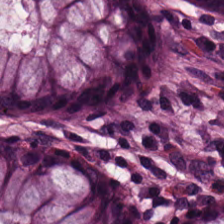H&E-stained tissue section.
Finding — benign colonic mucosa.
